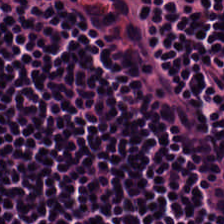0.5 µm/px · hematoxylin and eosin.
{"tissue_type": "lymphocyte aggregate"}
